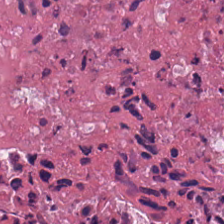Hematoxylin and eosin; FFPE tissue section — Debris.
